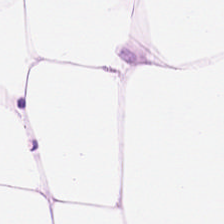Tissue class — adipose.
